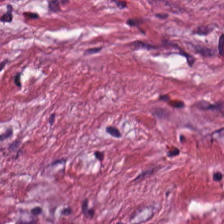Hematoxylin-and-eosin stained section. Predominantly desmoplastic stroma.
